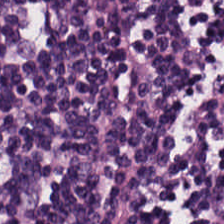224×224 px patch; hematoxylin-and-eosin stained section; whole-slide-image patch.
This patch shows lymphocytic infiltrate.
